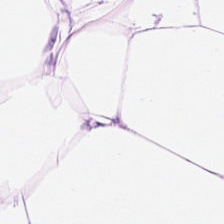H&E — Predominantly adipose.
